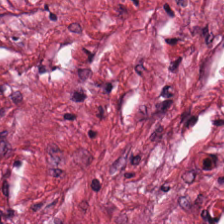FFPE tissue section; H&E. Impression → desmoplastic stroma.
